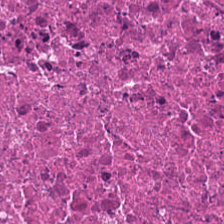Hematoxylin and eosin; whole-slide-image patch. The predominant tissue is necrotic debris.
